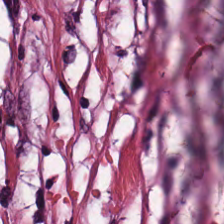Stain: hematoxylin-and-eosin stained section.
Predominant tissue: tumor-associated stroma.
